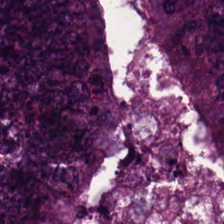H&E stain.
Colorectal adenocarcinoma.
